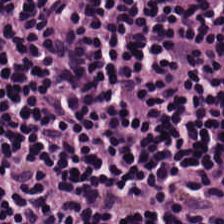Hematoxylin and eosin; FFPE tissue section. The predominant tissue is lymphocyte aggregate.
